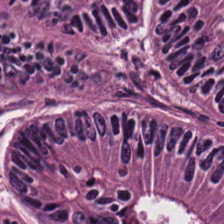Showing colorectal adenocarcinoma.
